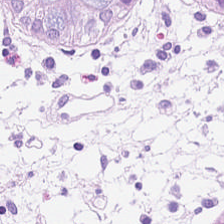224×224 pixel tile. H&E.
The tissue type is non-neoplastic colon mucosa.
